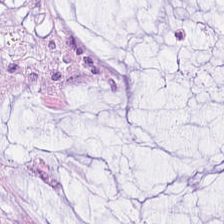Hematoxylin and eosin; 224×224 px patch. Q: What tissue is shown?
A: The field shows mucin.
